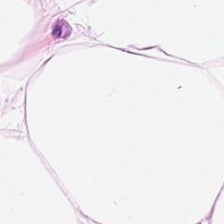224×224 pixel tile · H&E · 0.5 µm per pixel — Impression → adipose.
